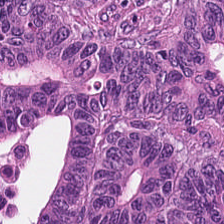Hematoxylin-and-eosin stained section.
Tissue class — colorectal adenocarcinoma epithelium.
